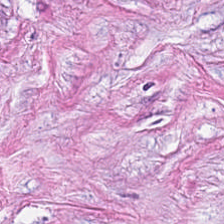Hematoxylin-and-eosin stained section — The tissue here is tumor stroma.
